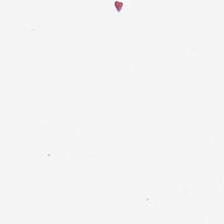Brightfield microscopy · H&E. Background — no tissue in this field.
